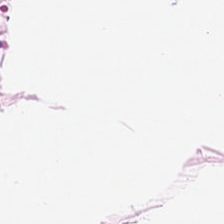H&E stain. FFPE tissue section. Predominant tissue — adipose.
